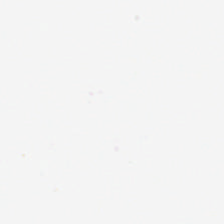H&E-stained tissue section; 0.5 µm per pixel. Histology → empty background.
